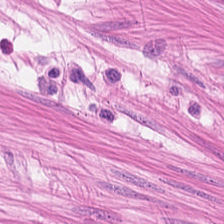Predominantly muscularis.
